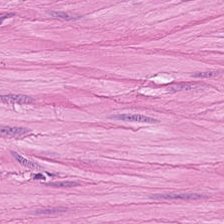224×224 pixel tile; H&E stain — Smooth-muscle tissue.
